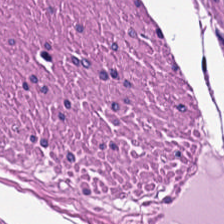Formalin-fixed paraffin-embedded section · H&E.
This field is muscularis.
